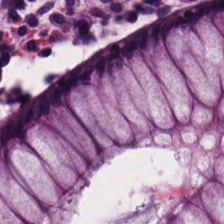Hematoxylin-and-eosin stained section. Predominantly benign colonic mucosa.
